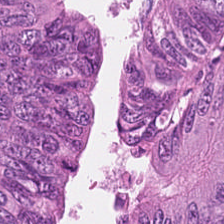Showing colorectal adenocarcinoma epithelium.
